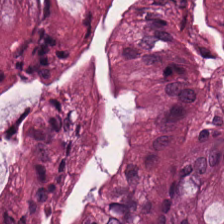H&E. Tissue class — benign colonic mucosa.
